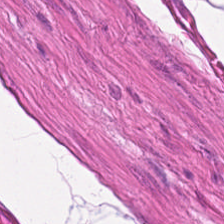Stain: H&E.
Preparation: FFPE.
Resolution: 20× equivalent magnification.
Tissue class: muscularis.
